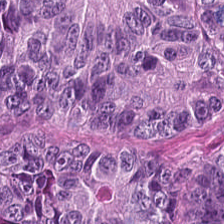Hematoxylin-and-eosin stained section.
{"tissue_type": "colorectal adenocarcinoma epithelium"}
